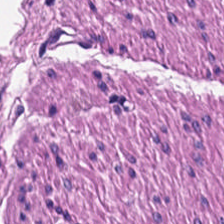H&E-stained tissue section. Q: What tissue is shown?
A: Smooth-muscle tissue.
